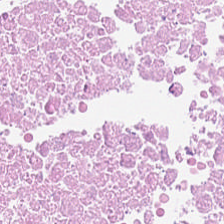0.5 µm per pixel · brightfield microscopy · hematoxylin and eosin. Predominant tissue — debris.
